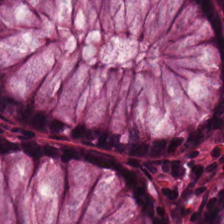Stain: H&E.
Tissue: normal colon mucosa.
